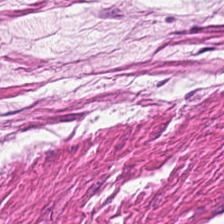Hematoxylin and eosin.
Tissue type — smooth muscle.
